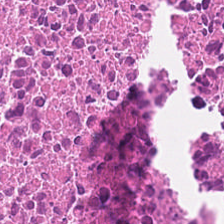224×224 px tile. Hematoxylin-and-eosin stained section.
Showing necrotic debris.
